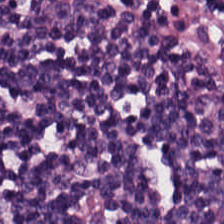224×224 pixel tile · H&E.
Finding → lymphoid infiltrate.
